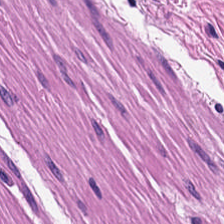H&E; whole-slide-image patch — The tissue class is smooth-muscle tissue.
